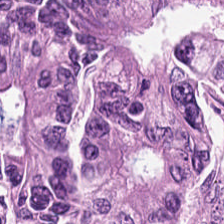H&E. 224×224 pixel tile. Classification = adenocarcinoma.
